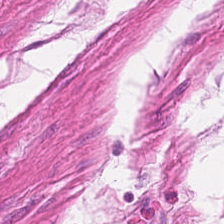H&E-stained section; the field shows smooth muscle.
